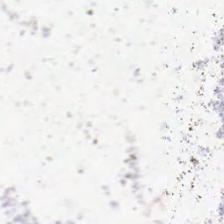H&E. 224×224 pixel tile. The classification is no tissue.
